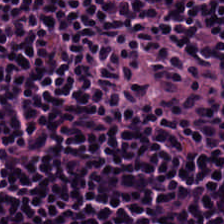FFPE; H&E stain.
This patch shows lymphocytic infiltrate.
